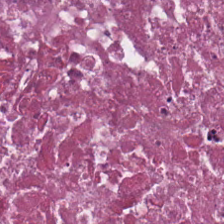Stain: H&E.
Tissue: cellular debris.
